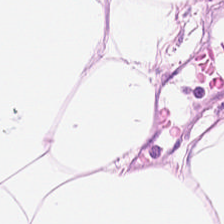H&E — adipose tissue.
